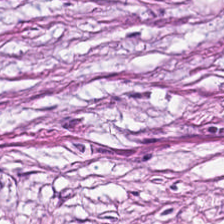224×224 px tile. Brightfield microscopy. Hematoxylin and eosin.
Showing desmoplastic stroma.
